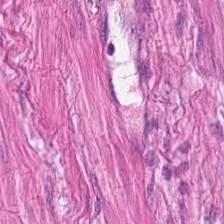H&E stain. 224×224 px patch. Tissue: smooth-muscle tissue.
